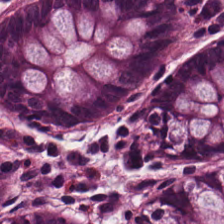Whole-slide-image patch; H&E-stained tissue section. Impression → normal colon mucosa.
